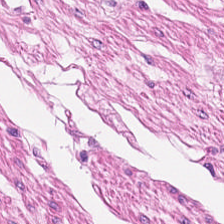FFPE tissue section · hematoxylin-and-eosin stained section · 224×224 pixel tile. Tissue class: muscularis.
